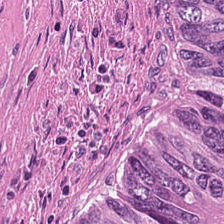Formalin-fixed paraffin-embedded section. 224×224 px patch. Hematoxylin and eosin.
Q: What does this patch show?
A: It is cellular debris.
